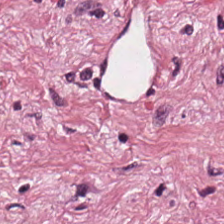Hematoxylin and eosin. Q: What is shown in this field?
A: The field shows tumor stroma.
